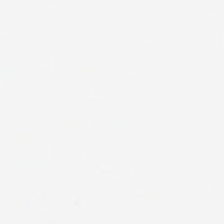Q: Classify this patch.
A: Background (no tissue).
